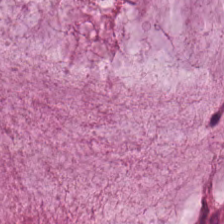Brightfield microscopy · H&E.
The predominant tissue is extracellular mucin.
